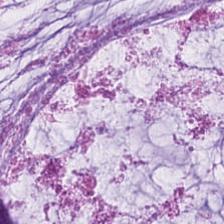H&E patch showing mucin.
